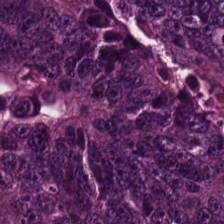H&E; 224×224 px patch — Finding — malignant epithelium.
